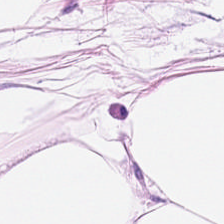H&E stain.
This field is adipose tissue.
